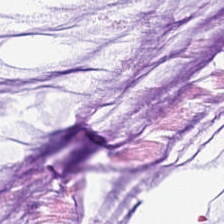0.5 microns per pixel; formalin-fixed paraffin-embedded section; hematoxylin-and-eosin stained section. Histology → mucus.
